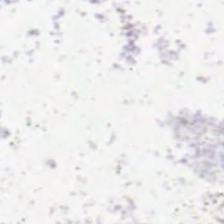Stain: hematoxylin-and-eosin stained section.
Preparation: FFPE tissue section.
Tile size: 224×224 px patch.
Classification: empty background.
